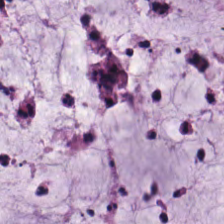224×224 px tile · WSI patch · H&E — Tissue = extracellular mucin.
